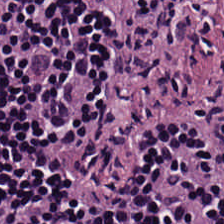H&E.
Q: What is the predominant tissue type?
A: This is lymphocytic infiltrate.
